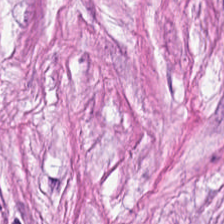H&E. This field is desmoplastic stroma.
